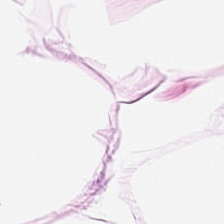Hematoxylin and eosin · 0.5 microns per pixel · formalin-fixed paraffin-embedded section. The tissue class is fat tissue.
